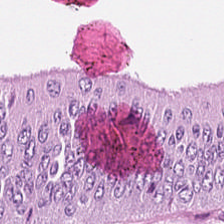Hematoxylin-and-eosin stained section — Predominant tissue = colorectal adenocarcinoma.
